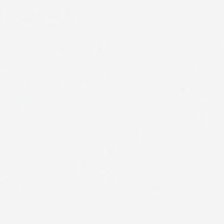This patch shows no tissue.
